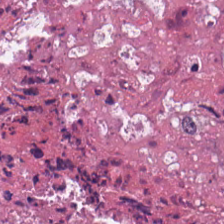H&E stain — Q: What type of tissue is this?
A: The field shows necrotic debris.
